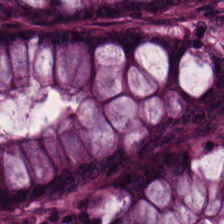Hematoxylin and eosin — The tissue here is normal colonic mucosa.
